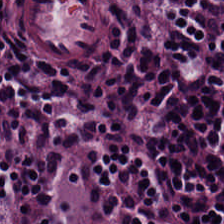Hematoxylin and eosin.
Tissue: lymphocytic infiltrate.
